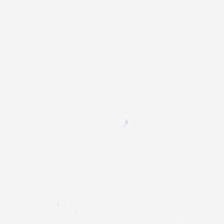No tissue present; background only.
